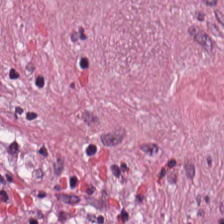H&E stain. Histology — tumor stroma.
